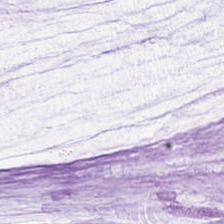Stain: H&E-stained tissue section.
Predominant tissue: mucus.
